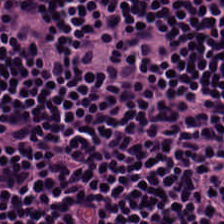H&E-stained tissue section. Q: What is shown in this field?
A: The field shows lymphocyte aggregate.
